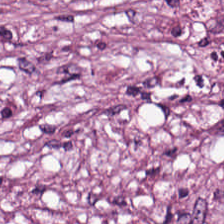0.5 microns per pixel. H&E. The predominant tissue is tumor-associated stroma.
